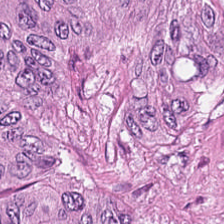Stain: H&E stain.
Predominant tissue: tumor epithelium.
